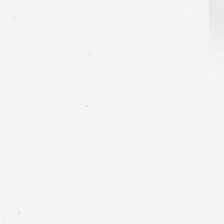224×224 px tile · H&E-stained tissue section. Background — no tissue in this field.
